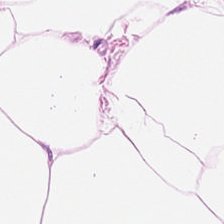Stain: H&E stain.
Preparation: FFPE tissue section.
Tissue: adipose.
